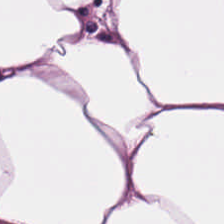Brightfield. H&E. 224×224 px patch — {"tissue_type": "fat tissue"}
